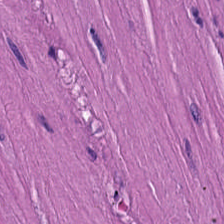Whole-slide-image patch. Formalin-fixed paraffin-embedded section. H&E stain.
Classification: smooth muscle.
